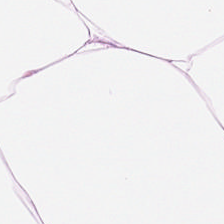H&E-stained tissue section.
This field is fat tissue.
